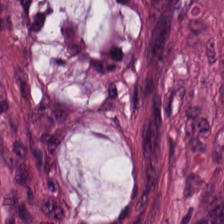Hematoxylin and eosin.
Tissue type = tumor epithelium.
